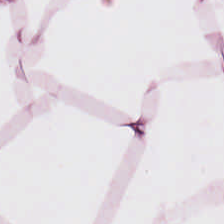224×224 px tile. H&E-stained tissue section — Q: What is the predominant tissue type?
A: Adipose.
